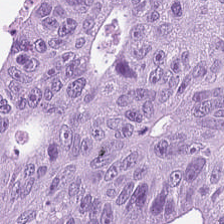Q: What is shown in this field?
A: This is colorectal adenocarcinoma epithelium.
